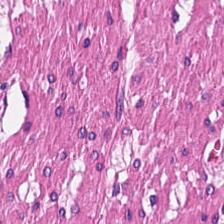H&E stain. Finding — muscularis.
